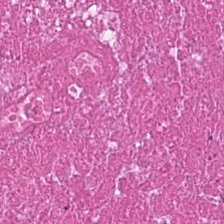Histology → necrotic debris.
